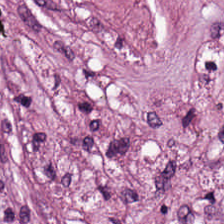H&E stain. The tissue here is tumor-associated stroma.
